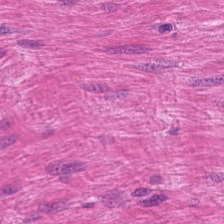Brightfield; H&E-stained tissue section; 0.5 microns per pixel. Showing smooth-muscle tissue.
